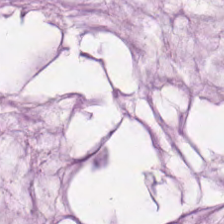H&E — Tissue: mucin.
